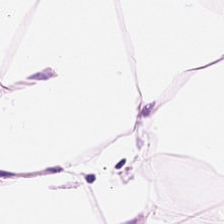224×224 pixel tile. H&E — Impression — adipose tissue.
